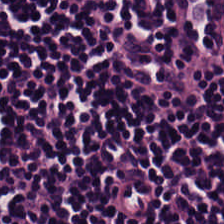This patch shows lymphocyte aggregate.
